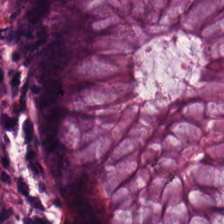H&E-stained tissue section; 224×224 px patch.
Q: What tissue is shown?
A: This is benign colonic mucosa.
